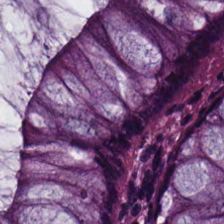Hematoxylin-and-eosin stained section.
This field is non-neoplastic colon mucosa.
